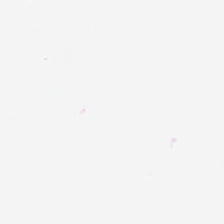Hematoxylin and eosin. Histology — background.
